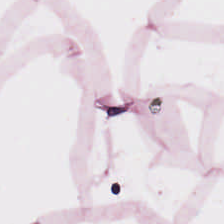Fat tissue.
